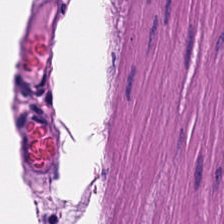H&E stain — Tissue class = muscularis.
